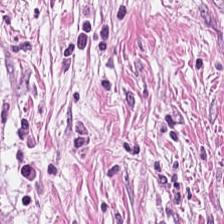Hematoxylin-and-eosin stained section — This field is desmoplastic stroma.
